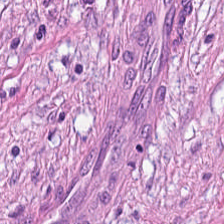H&E stain — This field is cancer-associated stroma.
